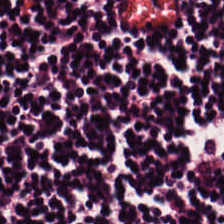WSI patch. H&E-stained tissue section. Histology — lymphoid infiltrate.
